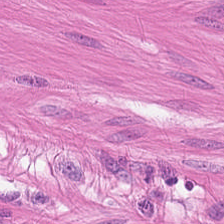Hematoxylin and eosin · 0.5 µm per pixel · whole-slide-image patch. The tissue here is muscularis.
